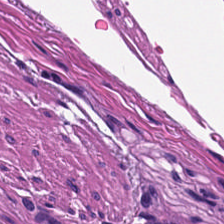Hematoxylin-and-eosin stained section. Showing muscularis.
